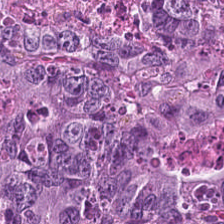Predominantly adenocarcinoma.
